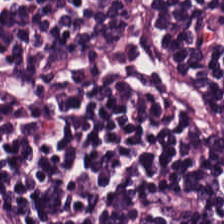Hematoxylin and eosin — Showing lymphocytes.
